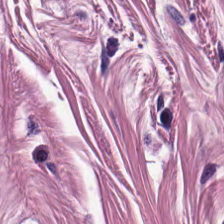Hematoxylin-and-eosin stained section — Showing smooth-muscle tissue.
